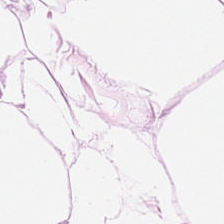Impression → adipose tissue.
